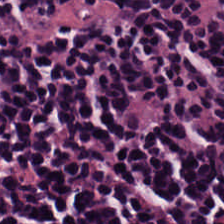Showing lymphocytic infiltrate.
